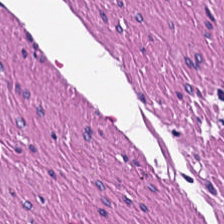H&E — smooth muscle.
